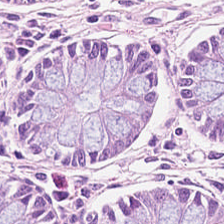Hematoxylin-and-eosin stained section; 0.5 µm/px. The tissue here is benign colonic mucosa.
